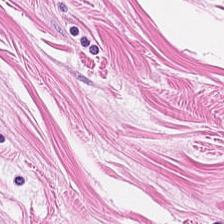Stain: hematoxylin and eosin.
Tissue: smooth-muscle tissue.
